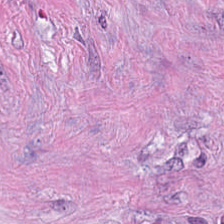The tissue is tumor-associated stroma.
